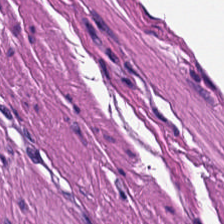Hematoxylin-and-eosin section: muscularis.
